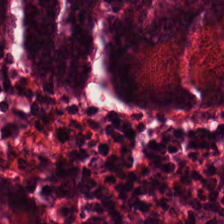Hematoxylin-and-eosin stained section · 224×224 pixel tile · brightfield microscopy.
Histology → normal colonic mucosa.
